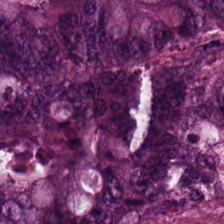0.5 microns per pixel · H&E-stained tissue section — Colorectal adenocarcinoma epithelium.
